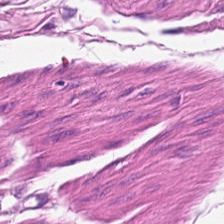Formalin-fixed paraffin-embedded section. H&E. Brightfield microscopy — Finding → smooth muscle.
